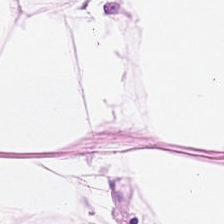H&E stain. FFPE. 0.5 µm per pixel — The predominant tissue is fat tissue.
